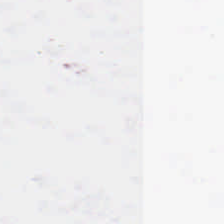Formalin-fixed paraffin-embedded section · H&E stain — Q: What does this patch show?
A: It is background (no tissue).
